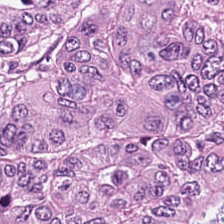H&E stain — {"tissue_type": "colorectal adenocarcinoma"}
